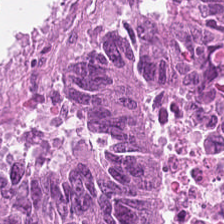0.5 µm per pixel; hematoxylin-and-eosin stained section; whole-slide-image patch.
Q: What type of tissue is this?
A: It is colorectal adenocarcinoma epithelium.
